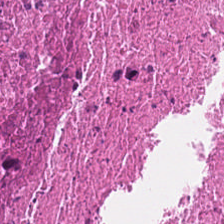Hematoxylin and eosin. Q: What is the predominant tissue type?
A: It is debris.
